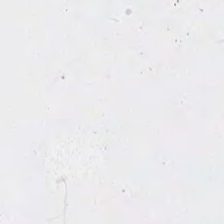Empty background.
